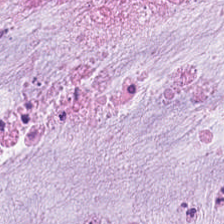H&E. Q: Identify the tissue.
A: It is extracellular mucin.
